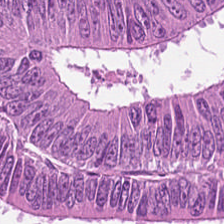H&E stain.
Finding → tumor epithelium.
